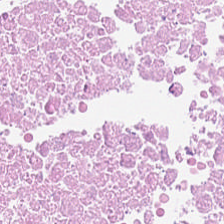H&E-stained tissue section; brightfield. Tissue type = debris.
